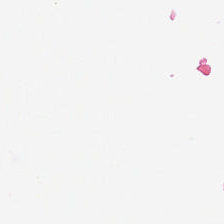H&E stain. Q: What does this patch show?
A: Background.
